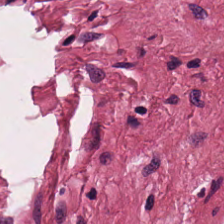Predominant tissue = desmoplastic stroma.
